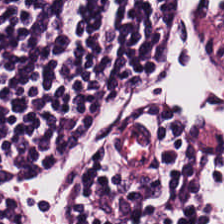H&E — lymphocytes.
